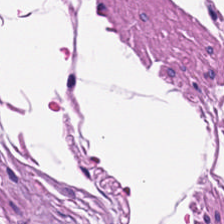Stain: H&E-stained tissue section.
Acquisition: brightfield.
Resolution: 0.5 microns per pixel.
Classification: smooth muscle.
